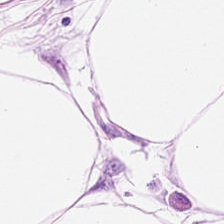Hematoxylin-and-eosin stained section.
This patch shows adipose tissue.
